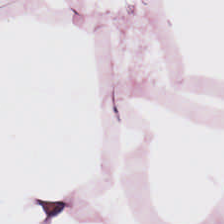Classification: adipose.
